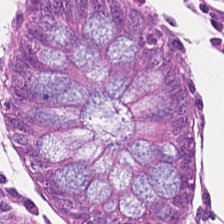FFPE; hematoxylin-and-eosin stained section — Predominantly benign colonic mucosa.
